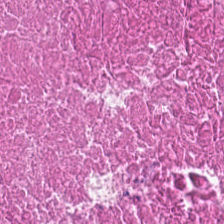H&E — Debris.
